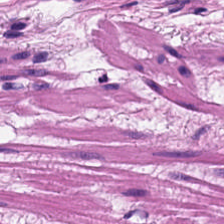Stain: hematoxylin and eosin.
Tissue class: smooth muscle.
